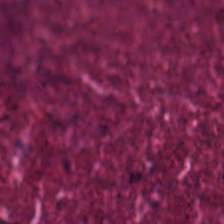Stain: hematoxylin-and-eosin stained section.
Resolution: 0.5 microns per pixel.
Acquisition: brightfield microscopy.
Tissue: debris.
